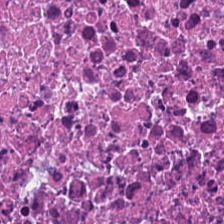H&E-stained tissue section; 224×224 px patch — Necrotic debris.
